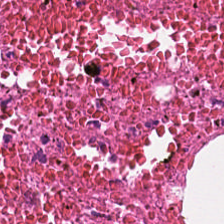Showing debris.
